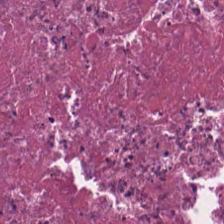224×224 pixel tile · H&E.
Q: What is shown here?
A: Cellular debris.
